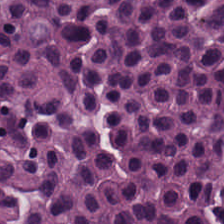Q: What is shown here?
A: This is lymphocyte aggregate.
